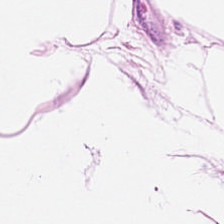Hematoxylin-and-eosin stained section; WSI patch — The tissue here is adipose.
